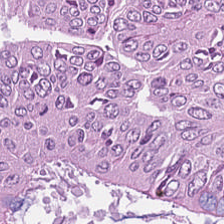H&E stain.
Tumor epithelium.
